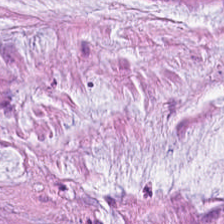H&E stain — Mucin.
